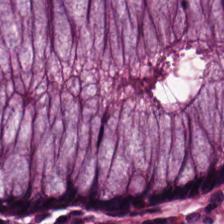H&E — Q: What tissue is shown?
A: Non-neoplastic colon mucosa.
